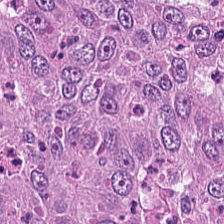Predominant tissue = colorectal adenocarcinoma epithelium.
